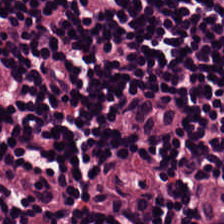H&E-stained tissue section. FFPE. 224×224 px patch — Showing lymphocytic infiltrate.
